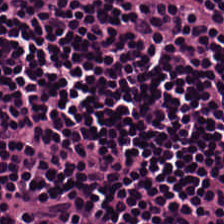Hematoxylin-and-eosin stained section. Brightfield. Formalin-fixed paraffin-embedded section — Tissue class — lymphocytes.
